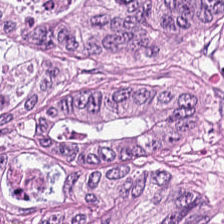H&E-stained tissue section — Showing colorectal adenocarcinoma.
